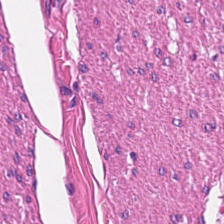Finding — smooth muscle.
